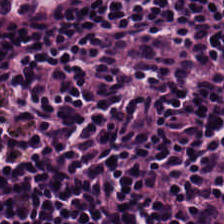The tissue here is lymphocytic infiltrate.
